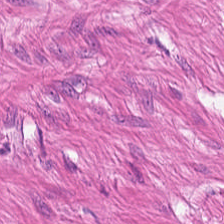Q: What is the predominant tissue type?
A: Smooth muscle.
